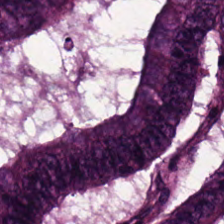H&E-stained tissue section showing colorectal adenocarcinoma.
